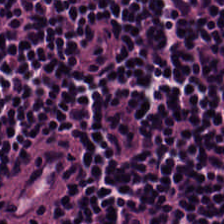H&E-stained tissue section. Predominantly lymphoid infiltrate.
